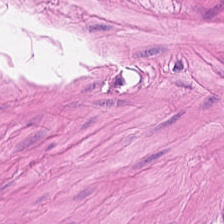Stain: hematoxylin-and-eosin stained section.
Preparation: FFPE.
Tissue type: smooth-muscle tissue.
